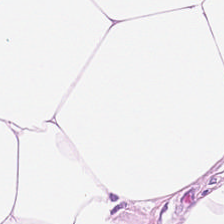H&E-stained tissue section showing adipocytes.
